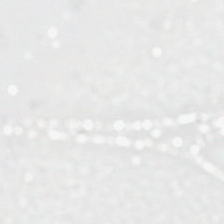Hematoxylin and eosin. Content = no tissue.
